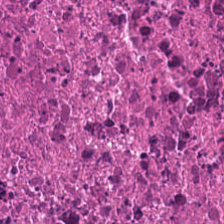H&E-stained section; the field shows cellular debris.
